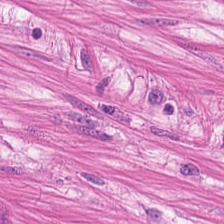H&E stain.
Finding — smooth-muscle tissue.
